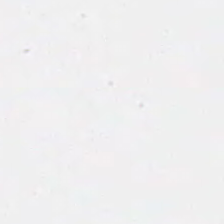Content — background.
